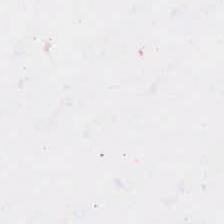Formalin-fixed paraffin-embedded section; H&E.
This field is background (no tissue).
